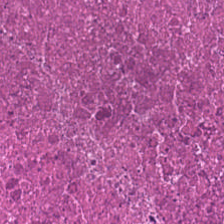H&E-stained tissue section. Showing necrotic debris.
